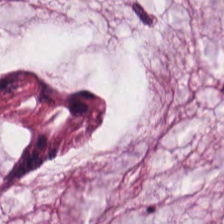Hematoxylin-and-eosin stained section. Q: What is the predominant tissue type?
A: This is mucus.
